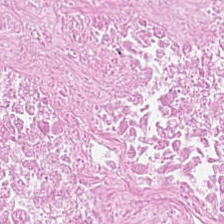Hematoxylin and eosin — The predominant tissue is necrotic debris.
